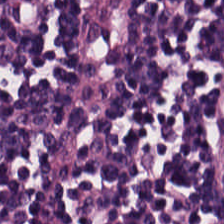The predominant tissue is lymphocytes.
